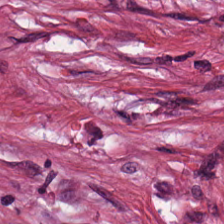Hematoxylin-and-eosin stained section. 0.5 µm per pixel — The tissue here is desmoplastic stroma.
